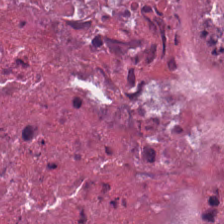H&E stain — The tissue here is debris.
